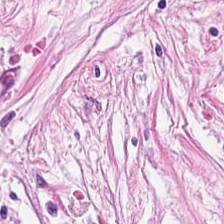H&E-stained tissue section.
Showing cancer-associated stroma.
